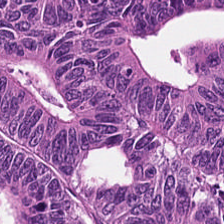Hematoxylin-and-eosin stained section — Tissue class: colorectal adenocarcinoma.
